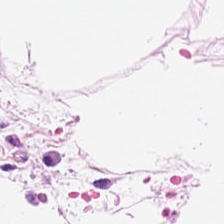Stain: hematoxylin and eosin.
Tissue type: adipose.
